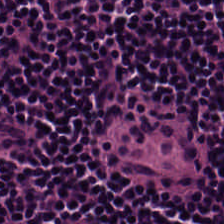Hematoxylin-and-eosin stained section · FFPE.
Q: What is shown here?
A: This is lymphocyte aggregate.
